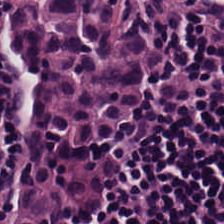FFPE · hematoxylin and eosin — Lymphocytes.
